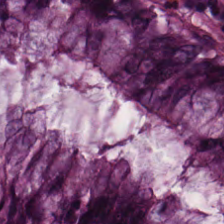Histology → non-neoplastic colon mucosa.
